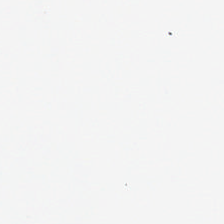Content — background (no tissue).
